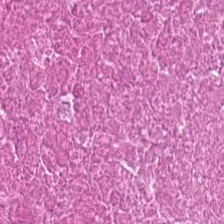Formalin-fixed paraffin-embedded section; 224×224 px tile; H&E-stained tissue section. The tissue here is debris.
